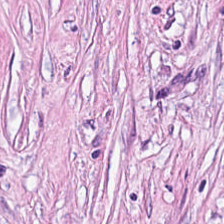Stain: H&E.
Tissue: desmoplastic stroma.
